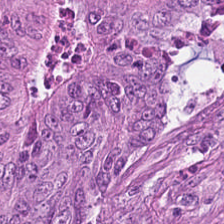H&E. 224×224 px tile — Q: Classify this patch.
A: It is tumor epithelium.
